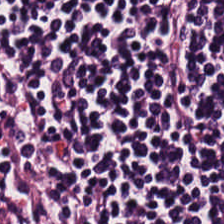FFPE tissue section; hematoxylin-and-eosin stained section; 224×224 px tile — Finding → lymphocytes.
